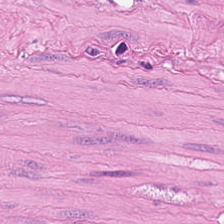Hematoxylin-and-eosin stained section · 224×224 px tile.
Q: What does this patch show?
A: This is smooth muscle.
